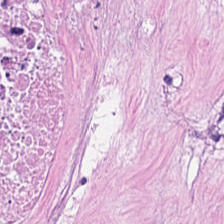H&E; 224×224 px patch; brightfield microscopy.
The predominant tissue is cellular debris.
